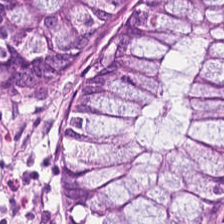H&E stain. Tissue: normal colon mucosa.
